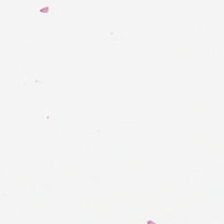FFPE · hematoxylin-and-eosin stained section · brightfield microscopy. Classification: no tissue.
